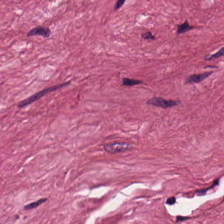Tissue = tumor-associated stroma.
